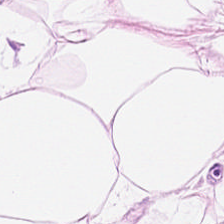H&E. Tissue class — fat tissue.
